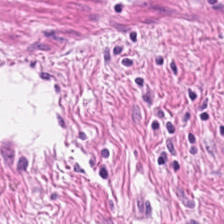Stain: hematoxylin and eosin.
Acquisition: brightfield.
Predominant tissue: smooth muscle.
